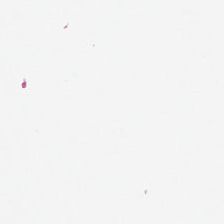Stain: H&E-stained tissue section.
Acquisition: WSI patch.
Resolution: 20× equivalent magnification.
Field content: empty background.
